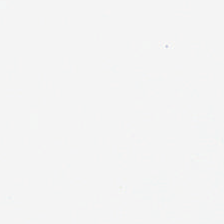Hematoxylin and eosin — Q: What is shown here?
A: Background.
